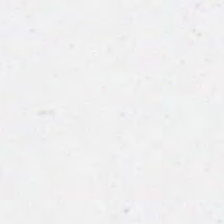224×224 px tile. Hematoxylin and eosin. Brightfield microscopy.
Classification: background.
